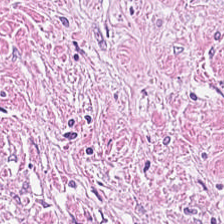Hematoxylin and eosin. Formalin-fixed paraffin-embedded section. 224×224 pixel tile.
Q: Identify the tissue.
A: Cancer-associated stroma.
